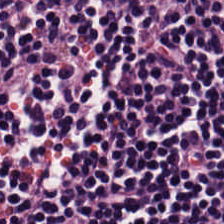This field is lymphocytes.
